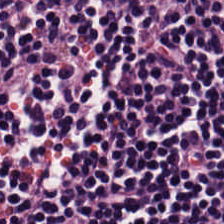This field is lymphocytes.
